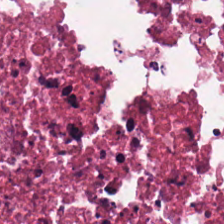Stain: hematoxylin and eosin.
Tile size: 224×224 pixel tile.
Tissue class: necrotic debris.
